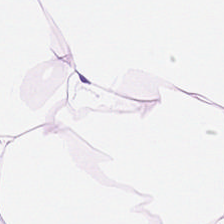Hematoxylin-and-eosin stained section — Showing adipose.
